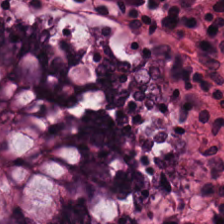H&E. Classification — normal colonic mucosa.
